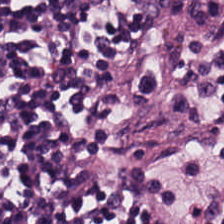Brightfield. H&E. 20× equivalent magnification. Classification — lymphoid infiltrate.
